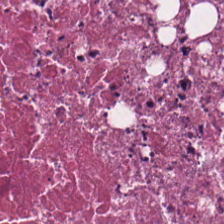Impression → debris.
